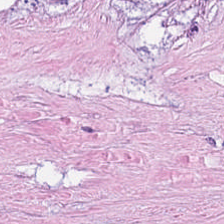224×224 px tile. H&E stain. FFPE tissue section — Q: What is shown here?
A: The field shows necrotic debris.
